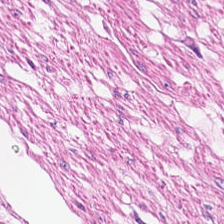This field is muscularis.
